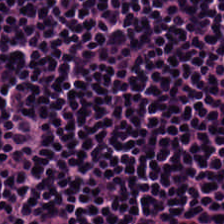The tissue is lymphoid infiltrate.
